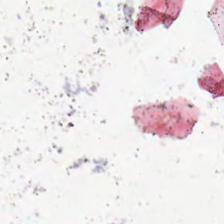No tissue present; background only.
